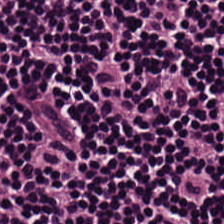Impression → lymphoid infiltrate.
